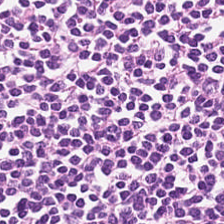Stain: hematoxylin-and-eosin stained section.
Tissue type: lymphocytes.
